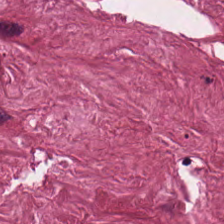0.5 µm/px · FFPE tissue section · H&E — Q: What does this patch show?
A: The field shows desmoplastic stroma.
